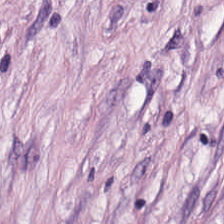Stain: hematoxylin and eosin.
Tissue class: cancer-associated stroma.
